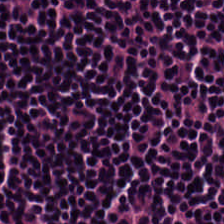This patch shows lymphocytic infiltrate.
